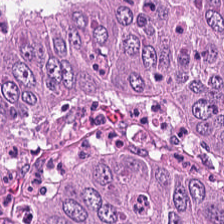Hematoxylin and eosin; FFPE; 224×224 px tile — Tissue class = colorectal adenocarcinoma epithelium.
